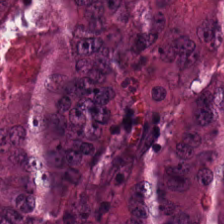H&E stain.
Finding — adenocarcinoma.
